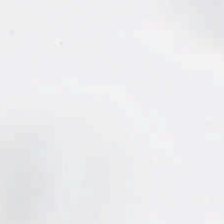H&E — Classification: no tissue.
